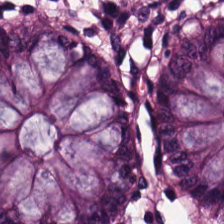H&E stain. The predominant tissue is normal colonic mucosa.
